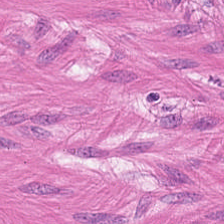Hematoxylin-and-eosin stained section. Tissue class: muscularis.
